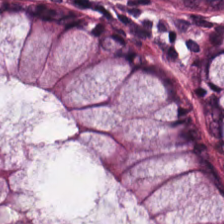H&E-stained section; the field shows normal colon mucosa.
